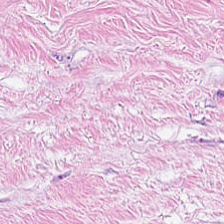The tissue is cancer-associated stroma.
